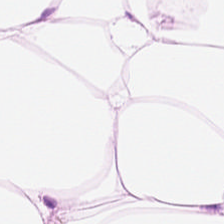Stain: hematoxylin and eosin.
Resolution: 0.5 microns per pixel.
Tissue type: adipose.
